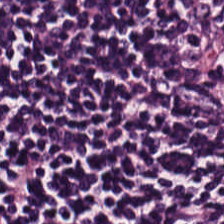Stain: hematoxylin and eosin.
Resolution: 20× equivalent magnification.
Tissue type: lymphocyte aggregate.
